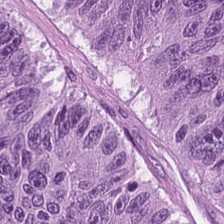Impression → colorectal adenocarcinoma epithelium.
